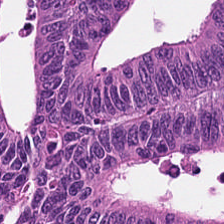{"tissue_type": "colorectal adenocarcinoma epithelium"}
